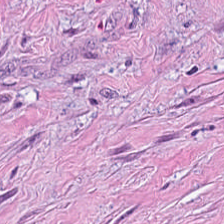The predominant tissue is desmoplastic stroma.
